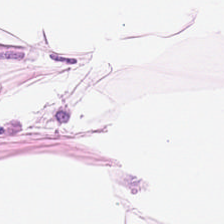0.5 µm per pixel. H&E-stained tissue section — Q: What does this patch show?
A: It is adipose tissue.
